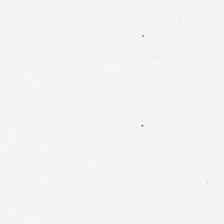The field content is background.
